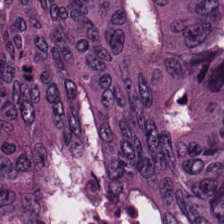Stain: H&E.
Acquisition: brightfield.
Tile size: 224×224 px tile.
Tissue type: adenocarcinoma.
